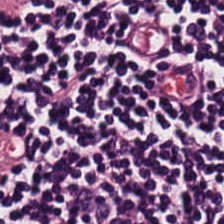FFPE. H&E-stained tissue section. Whole-slide-image patch — Showing lymphocytes.
